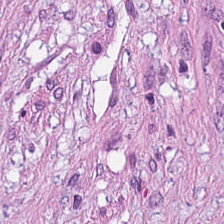Hematoxylin and eosin.
Q: Classify this patch.
A: The field shows desmoplastic stroma.
